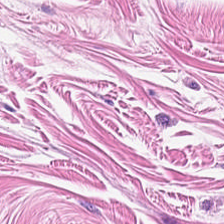Stain: hematoxylin and eosin.
Classification: smooth-muscle tissue.
